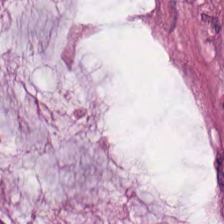Hematoxylin and eosin. Q: What type of tissue is this?
A: Mucin.
